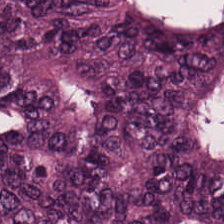Hematoxylin-and-eosin stained section. Predominant tissue: colorectal adenocarcinoma.
